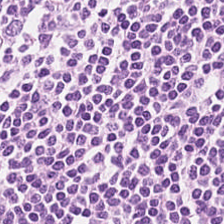H&E-stained tissue section.
Finding — lymphoid infiltrate.
